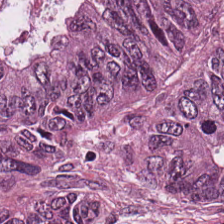Q: Classify this patch.
A: This is adenocarcinoma.
